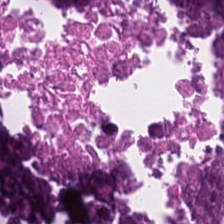Stain: H&E-stained tissue section.
Acquisition: WSI patch.
Tile size: 224×224 px patch.
Predominant tissue: necrotic debris.
